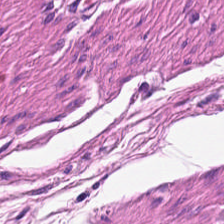224×224 px patch; hematoxylin and eosin — The predominant tissue is smooth muscle.
